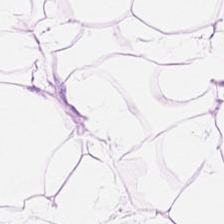H&E stain; FFPE tissue section. The predominant tissue is adipose.
